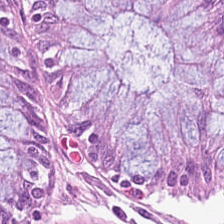H&E-stained tissue section.
This field is normal colon mucosa.
